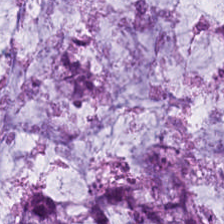Formalin-fixed paraffin-embedded section; H&E.
Impression — extracellular mucin.
